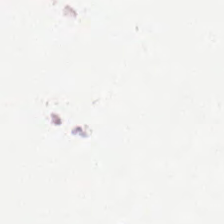Background — no tissue in this field.
